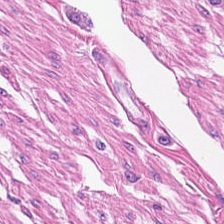H&E-stained tissue section. The tissue is smooth-muscle tissue.
